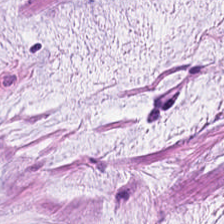H&E-stained section; the field shows mucus.
